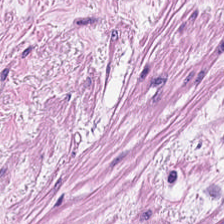Formalin-fixed paraffin-embedded section · H&E — Q: What does this patch show?
A: Smooth muscle.
